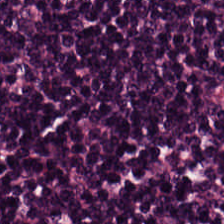Hematoxylin-and-eosin stained section.
This field is lymphocyte aggregate.
